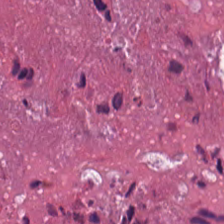Tissue = cellular debris.
